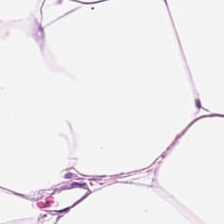H&E-stained section; the field shows adipocytes.
